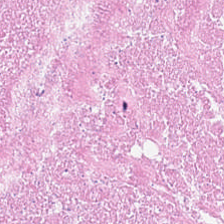Tissue class = necrotic debris.
